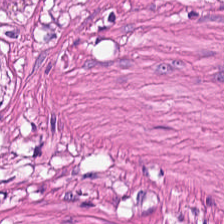FFPE tissue section. Hematoxylin-and-eosin stained section — Finding → smooth-muscle tissue.
